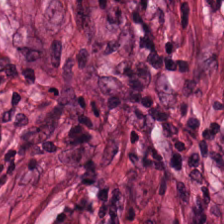Histology — tumor-associated stroma.
